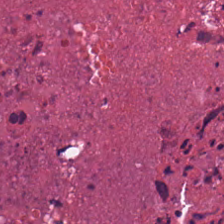Hematoxylin and eosin.
Q: What is shown in this field?
A: The field shows necrotic debris.
